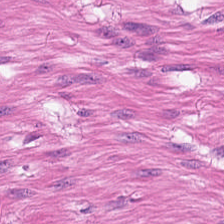0.5 µm/px · H&E stain.
{"tissue_type": "smooth-muscle tissue"}
